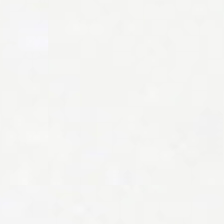Brightfield; 0.5 µm per pixel; H&E-stained tissue section — This patch shows empty background.
